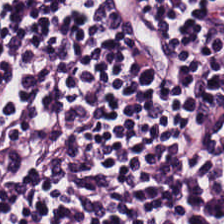Hematoxylin-and-eosin stained section. Impression → lymphocyte aggregate.
